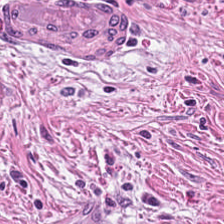H&E stain — This patch shows tumor stroma.
